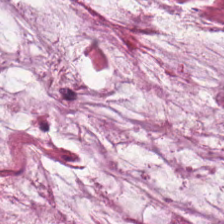Q: What is shown in this field?
A: Extracellular mucin.
